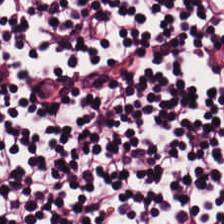H&E stain. {"tissue_type": "lymphocytic infiltrate"}
